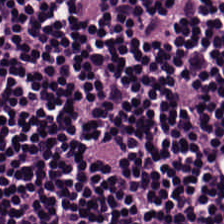{"tissue_type": "lymphocyte aggregate"}
